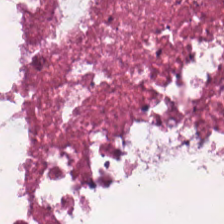H&E stain. The classification is cellular debris.
